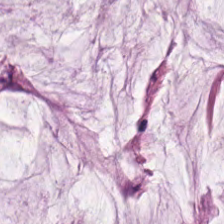Tissue type — mucin.
